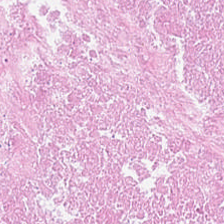H&E-stained tissue section — Tissue — necrotic debris.
